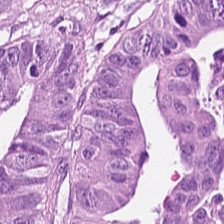The tissue type is colorectal adenocarcinoma epithelium.
